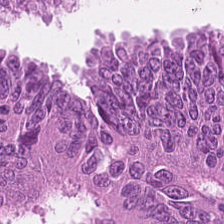Hematoxylin-and-eosin stained section. 20× equivalent magnification. FFPE tissue section. Finding — colorectal adenocarcinoma.
